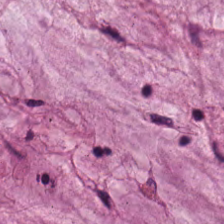Q: What type of tissue is this?
A: This is mucin.
